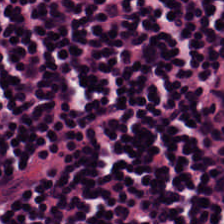Stain: hematoxylin-and-eosin stained section.
Classification: lymphocyte aggregate.
